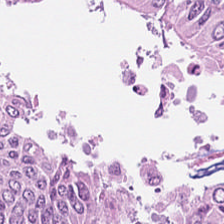Hematoxylin and eosin. This field is adenocarcinoma.
